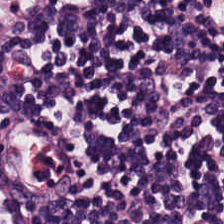H&E-stained tissue section — This field is lymphocytes.
